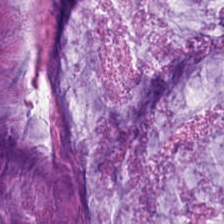Hematoxylin and eosin.
Finding — mucin.
